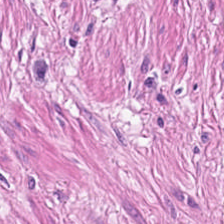Predominant tissue — smooth-muscle tissue.
